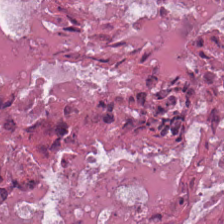H&E — debris.
